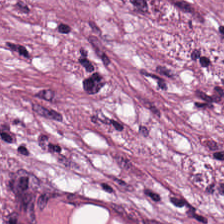Q: Identify the tissue.
A: It is desmoplastic stroma.
